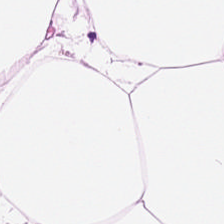Hematoxylin and eosin.
The tissue type is fat tissue.
